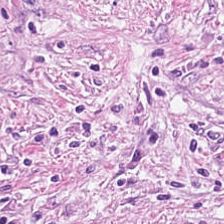Hematoxylin and eosin — Showing tumor stroma.
